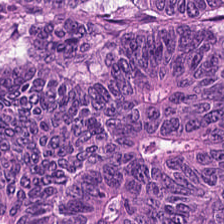Hematoxylin and eosin. Q: What tissue type is shown here?
A: It is colorectal adenocarcinoma.
